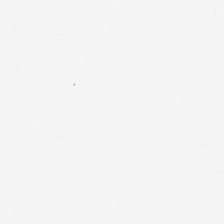Stain: hematoxylin-and-eosin stained section.
Classification: empty background.
